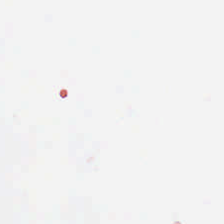Stain: hematoxylin-and-eosin stained section.
Preparation: FFPE tissue section.
Field content: empty background.
